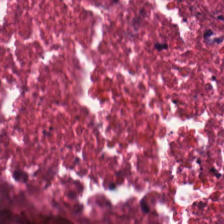Q: What does this patch show?
A: This is cellular debris.
